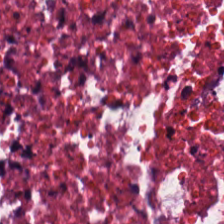H&E — The predominant tissue is cellular debris.
